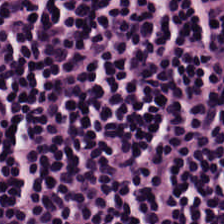Lymphoid infiltrate.
